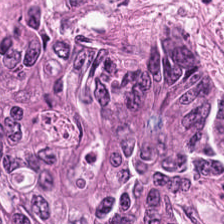H&E-stained tissue section — This field is colorectal adenocarcinoma epithelium.
